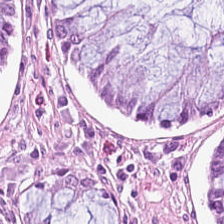Hematoxylin-and-eosin stained section; WSI patch.
The predominant tissue is normal colon mucosa.
